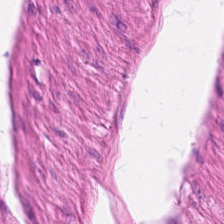Finding — smooth-muscle tissue.
